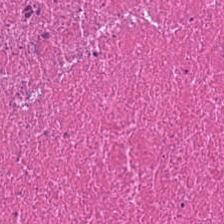Stain: hematoxylin and eosin.
Tissue class: necrotic debris.
